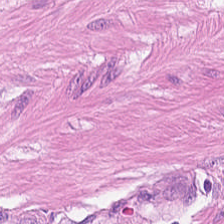FFPE tissue section. 224×224 px patch. Hematoxylin and eosin.
Q: What is shown in this field?
A: This is muscularis.
